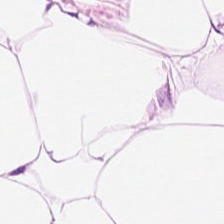H&E-stained tissue section. 0.5 µm/px.
Tissue type = fat tissue.
